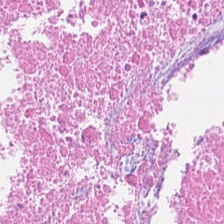Hematoxylin-and-eosin stained section; brightfield microscopy.
The tissue class is necrotic debris.
